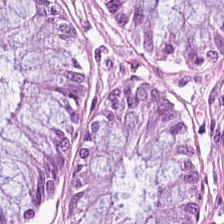H&E-stained tissue section.
Tissue = benign colonic mucosa.
